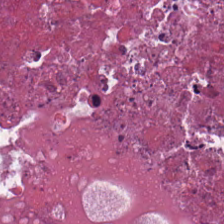Stain: H&E.
Classification: cellular debris.
